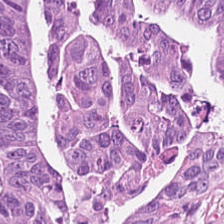H&E stain. Tissue type = malignant epithelium.
